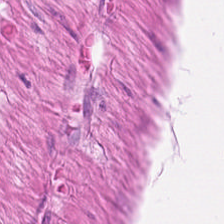Q: What type of tissue is this?
A: Smooth muscle.
